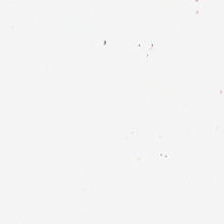H&E-stained tissue section. Empty field — background.
